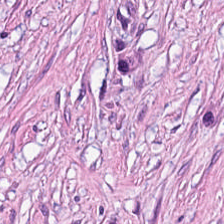Tissue type: tumor stroma.
